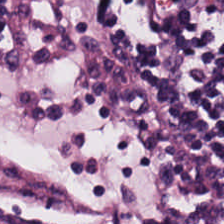Whole-slide-image patch; H&E; FFPE tissue section — Lymphocytic infiltrate.
